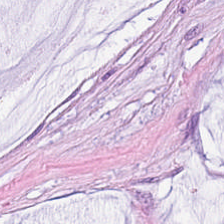H&E-stained tissue section — Q: What is shown here?
A: This is extracellular mucin.
